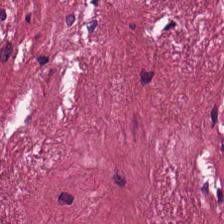{"tissue_type": "cancer-associated stroma"}
